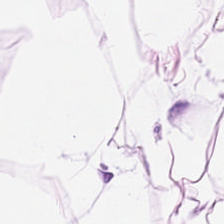Tissue type: fat tissue.
